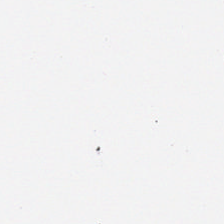Hematoxylin-and-eosin stained section — This field is background (no tissue).
